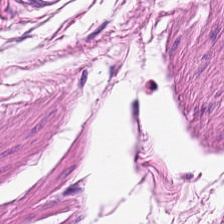H&E-stained tissue section · WSI patch — Tissue type: smooth muscle.
